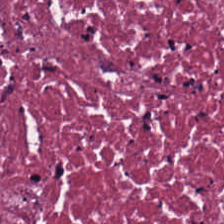H&E stain — The predominant tissue is cellular debris.
